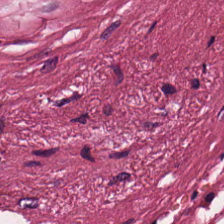Hematoxylin and eosin.
{"tissue_type": "tumor stroma"}
